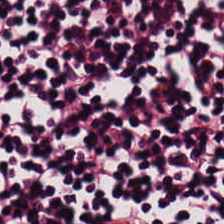Hematoxylin-and-eosin stained section.
The classification is lymphocytic infiltrate.
